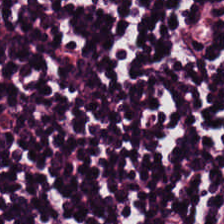H&E stain. FFPE tissue section.
Predominantly lymphoid infiltrate.
